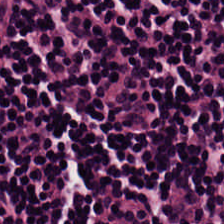H&E stain. Tissue class: lymphocytic infiltrate.
